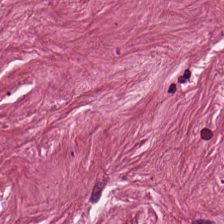H&E — Q: What is shown in this field?
A: Tumor stroma.
